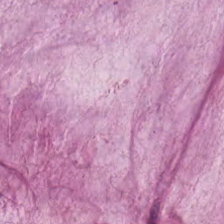Hematoxylin-and-eosin stained section — {"tissue_type": "extracellular mucin"}
